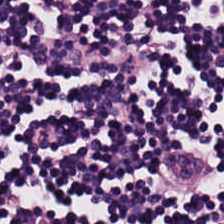The tissue type is lymphoid infiltrate.
